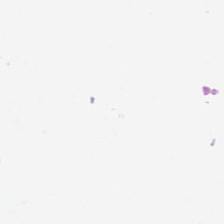H&E stain. This field is background (no tissue).
